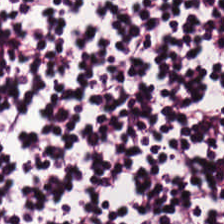0.5 µm per pixel · 224×224 px tile · hematoxylin-and-eosin stained section — The tissue here is lymphocyte aggregate.
